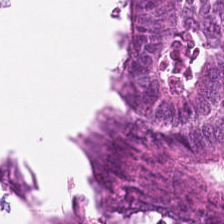H&E. The tissue here is colorectal adenocarcinoma.
